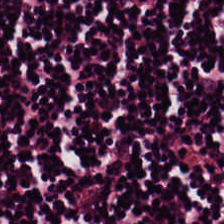Stain: H&E.
Preparation: FFPE tissue section.
Tile size: 224×224 px patch.
Tissue type: lymphocytic infiltrate.
